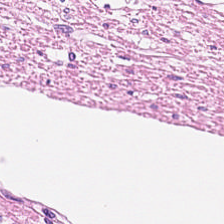H&E stain; formalin-fixed paraffin-embedded section; brightfield microscopy. Tissue class = smooth muscle.
